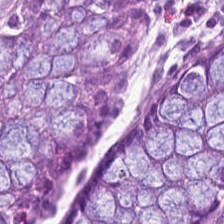H&E stain.
Tissue class: normal colonic mucosa.
